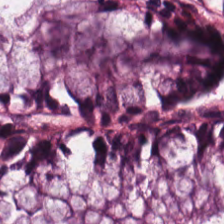Hematoxylin-and-eosin stained section · 0.5 µm per pixel.
The tissue here is benign colonic mucosa.
